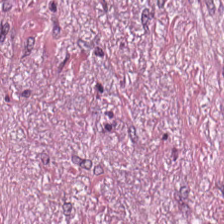224×224 px tile; FFPE; hematoxylin and eosin. Predominant tissue — tumor-associated stroma.
